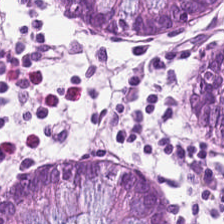Hematoxylin and eosin.
Tissue type — normal colon mucosa.
